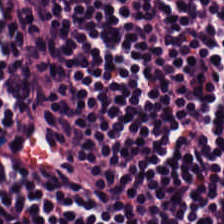H&E-stained tissue section; 0.5 microns per pixel.
Q: What tissue type is shown here?
A: This is lymphocytic infiltrate.
